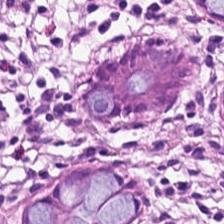H&E stain — This field is normal colon mucosa.
